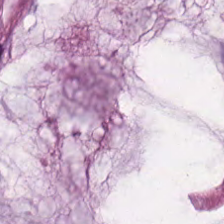H&E-stained tissue section. FFPE tissue section — Q: What is shown in this field?
A: Mucin.
